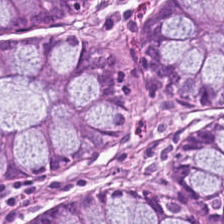Brightfield. 224×224 px patch. H&E. This field is benign colonic mucosa.
